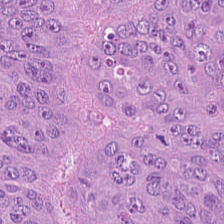H&E-stained tissue section — Predominant tissue: tumor epithelium.
